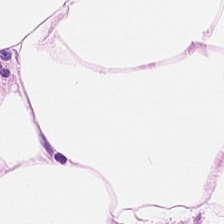Hematoxylin and eosin — Finding → fat tissue.
